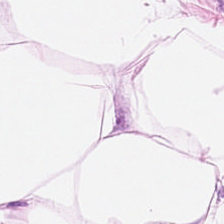WSI patch · H&E-stained tissue section.
Adipocytes.
